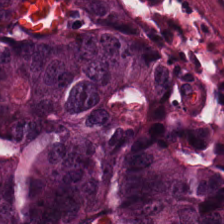Stain: H&E.
Tissue class: tumor epithelium.
